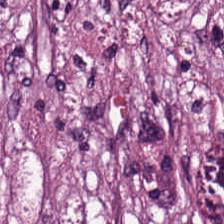Hematoxylin-and-eosin stained section.
The tissue is tumor-associated stroma.
